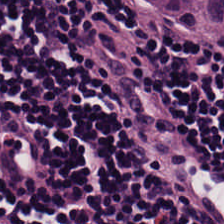224×224 pixel tile; H&E stain; FFPE tissue section.
The tissue here is lymphocytes.
